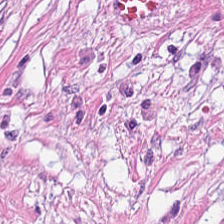Stain: H&E.
Tissue: tumor-associated stroma.
